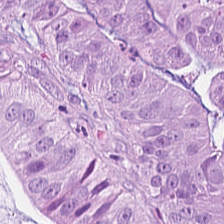Hematoxylin and eosin. 224×224 pixel tile.
Q: What is the predominant tissue type?
A: It is colorectal adenocarcinoma epithelium.
